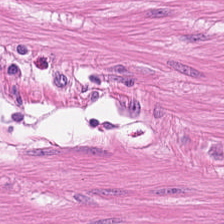Hematoxylin-and-eosin stained section. 224×224 pixel tile. Q: What tissue is shown?
A: The field shows smooth muscle.
